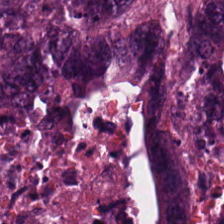224×224 pixel tile · hematoxylin-and-eosin stained section. The tissue here is malignant epithelium.
